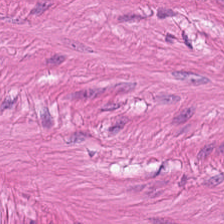Hematoxylin and eosin. 224×224 px patch. Brightfield microscopy. Q: What tissue type is shown here?
A: The field shows smooth muscle.
